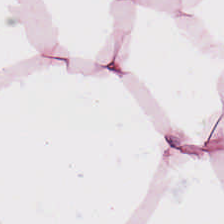H&E stain. 20× equivalent magnification. Formalin-fixed paraffin-embedded section. Showing adipose tissue.
